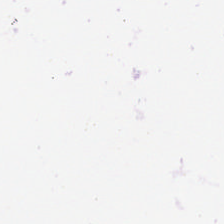Stain: hematoxylin-and-eosin stained section.
Classification: empty background.
